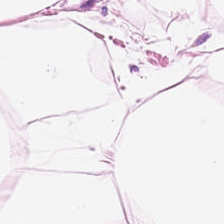H&E-stained tissue section — {"tissue_type": "adipocytes"}
